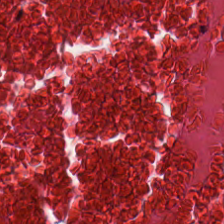H&E stain. Debris.
